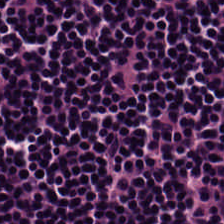Hematoxylin and eosin. Classification: lymphocytic infiltrate.
